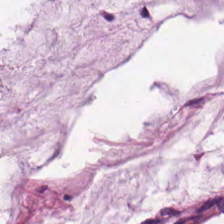Q: What does this patch show?
A: Mucin.
